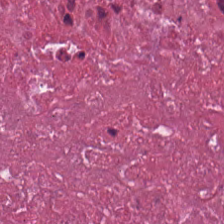Hematoxylin-and-eosin stained section. Formalin-fixed paraffin-embedded section. Brightfield microscopy. Predominantly necrotic debris.
